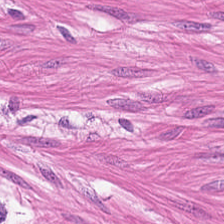Brightfield. 0.5 microns per pixel. Hematoxylin and eosin. This field is smooth muscle.
